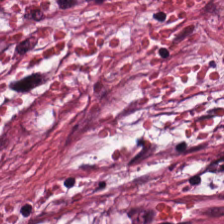The tissue here is tumor stroma.
